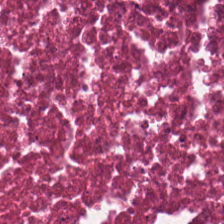Impression → cellular debris.
